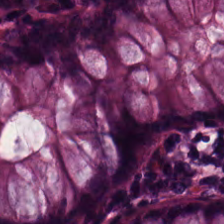H&E stain. This field is non-neoplastic colon mucosa.
